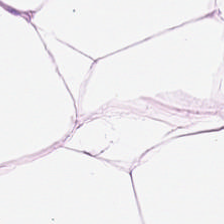H&E; 224×224 pixel tile. Tissue: adipose.
